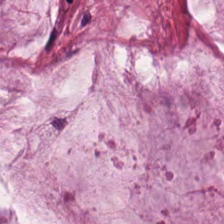H&E stain.
Q: What type of tissue is this?
A: Mucin.
